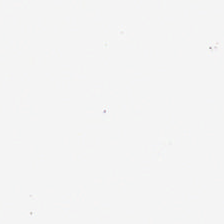Stain: hematoxylin and eosin.
Classification: no tissue.
